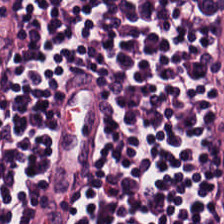H&E-stained tissue section — Q: What is shown here?
A: The field shows lymphocytes.
